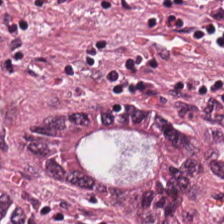H&E-stained tissue section.
Classification: colorectal adenocarcinoma.
